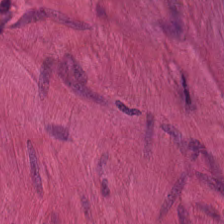Hematoxylin and eosin.
This patch shows smooth-muscle tissue.
